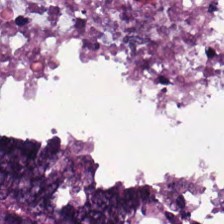H&E stain.
Tumor epithelium.
